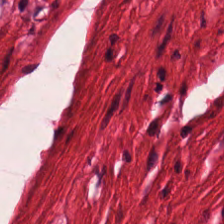H&E stain. This patch shows muscularis.
